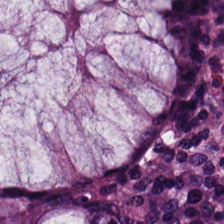20× equivalent magnification · H&E.
Q: What is the predominant tissue type?
A: Non-neoplastic colon mucosa.
